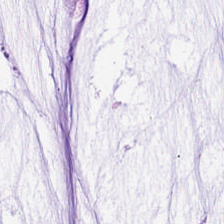H&E. This patch shows extracellular mucin.
